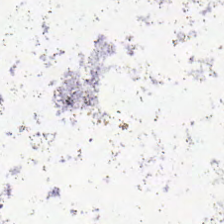Whole-slide-image patch · H&E-stained tissue section · 20× equivalent magnification — {"content": "no tissue"}
